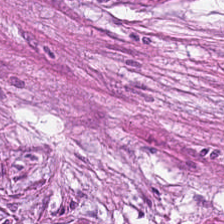H&E stain — The tissue is desmoplastic stroma.
